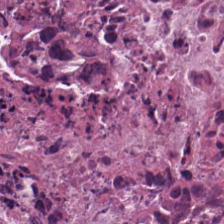H&E-stained tissue section. Impression → debris.
